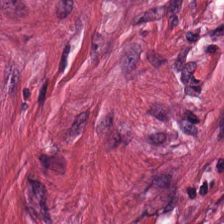Stain: H&E-stained tissue section.
Preparation: FFPE tissue section.
Classification: tumor stroma.
